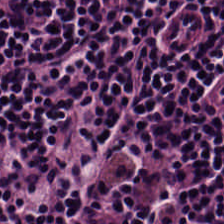Brightfield · H&E. Predominantly lymphocytic infiltrate.
